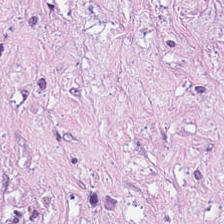20× equivalent magnification; hematoxylin and eosin; 224×224 px tile. The tissue class is cancer-associated stroma.
